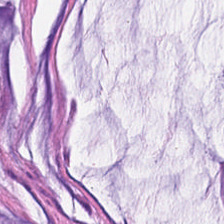0.5 µm per pixel · H&E stain · brightfield — The tissue class is extracellular mucin.
